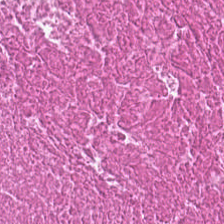H&E · 0.5 microns per pixel · formalin-fixed paraffin-embedded section. This patch shows debris.
